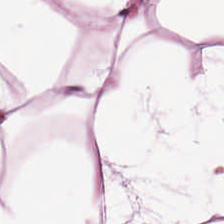H&E — Adipose tissue.
